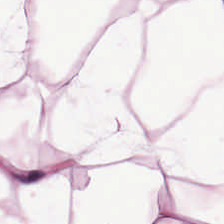H&E — Classification — adipose tissue.
